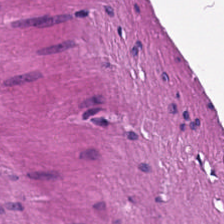Brightfield microscopy · H&E stain · formalin-fixed paraffin-embedded section. Tissue — smooth-muscle tissue.
